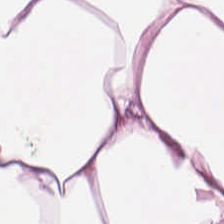Stain: hematoxylin and eosin.
Preparation: FFPE tissue section.
Tissue class: adipocytes.
